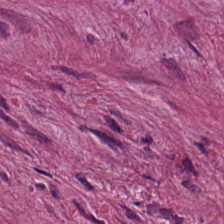224×224 px patch; H&E. Predominantly desmoplastic stroma.
